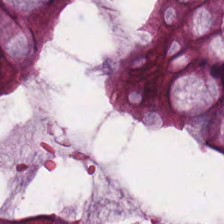H&E.
Tissue class: normal colon mucosa.
